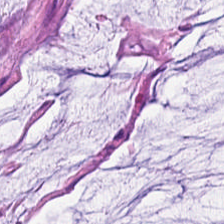This patch shows mucus.
